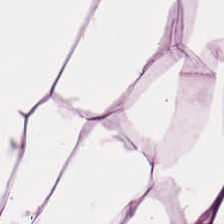Stain: H&E.
Tile size: 224×224 pixel tile.
Predominant tissue: adipose tissue.
